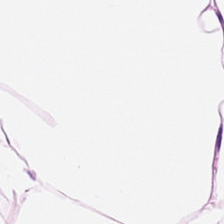Stain: H&E-stained tissue section.
Acquisition: WSI patch.
Preparation: FFPE tissue section.
Tissue class: fat tissue.
